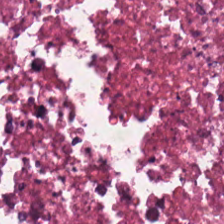H&E-stained tissue section.
Q: What type of tissue is this?
A: It is debris.
